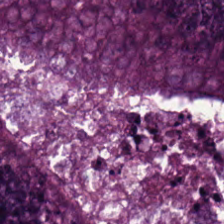224×224 pixel tile. Hematoxylin and eosin. FFPE.
Tissue type — colorectal adenocarcinoma epithelium.
